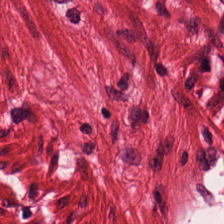H&E-stained tissue section showing muscularis.
